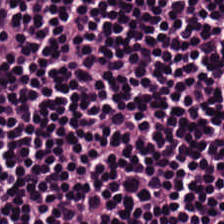H&E-stained tissue section.
Classification — lymphocytic infiltrate.
